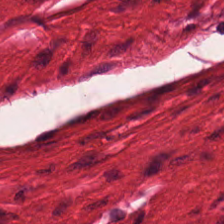Stain: H&E stain.
Predominant tissue: smooth-muscle tissue.
